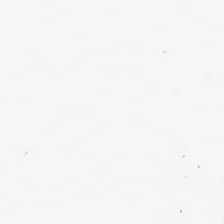Hematoxylin and eosin. Field content — no tissue.
